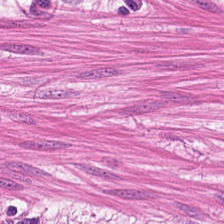Hematoxylin and eosin.
{"tissue_type": "smooth muscle"}
